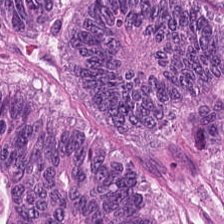Predominantly colorectal adenocarcinoma epithelium.
